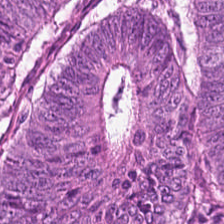H&E stain — Q: What does this patch show?
A: The field shows adenocarcinoma.
